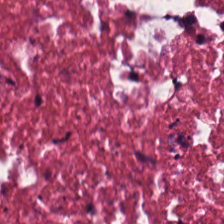Stain: H&E.
Predominant tissue: debris.
